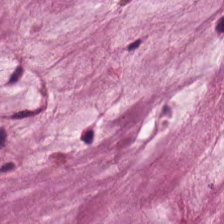Hematoxylin-and-eosin stained section.
This field is mucus.
